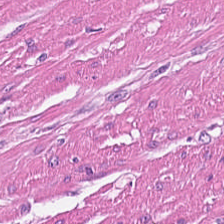Hematoxylin and eosin · 224×224 pixel tile · FFPE tissue section — Tissue = smooth-muscle tissue.
